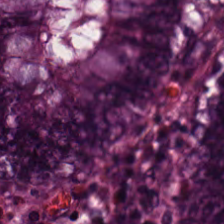H&E-stained tissue section — Histology → non-neoplastic colon mucosa.
